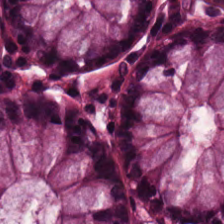H&E-stained section; the field shows normal colon mucosa.
